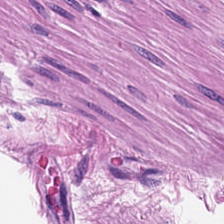H&E. Tissue: smooth-muscle tissue.
